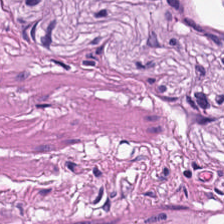0.5 microns per pixel; H&E; 224×224 px patch — Showing smooth-muscle tissue.
